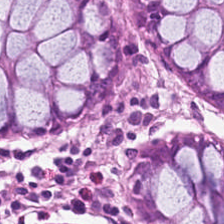0.5 µm per pixel · hematoxylin-and-eosin stained section.
Predominantly normal colonic mucosa.
